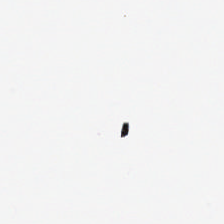H&E.
Classification: empty background.
